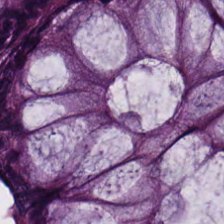WSI patch. H&E-stained tissue section. 0.5 µm/px. Q: What type of tissue is this?
A: The field shows normal colonic mucosa.
